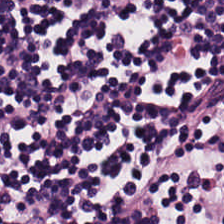H&E. Showing lymphocytic infiltrate.
